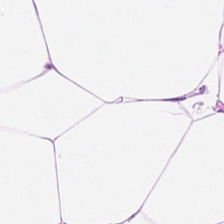H&E-stained tissue section · 0.5 microns per pixel. Tissue: fat tissue.
